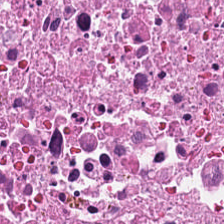{"tissue_type": "cellular debris"}
